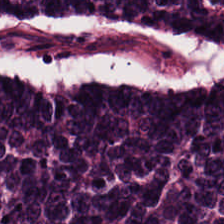Whole-slide-image patch · hematoxylin-and-eosin stained section.
The tissue here is adenocarcinoma.
